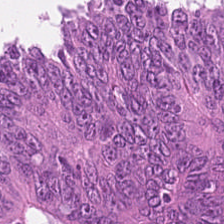H&E stain. Q: Classify this patch.
A: Malignant epithelium.
